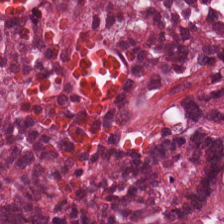H&E-stained tissue section · FFPE. {"tissue_type": "debris"}
